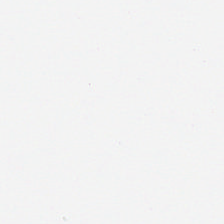Hematoxylin and eosin.
Field content — empty background.
